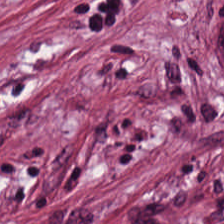Hematoxylin-and-eosin stained section · 224×224 pixel tile — This patch shows desmoplastic stroma.
